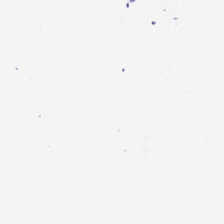H&E · formalin-fixed paraffin-embedded section.
Q: What is shown in this field?
A: Background (no tissue).
